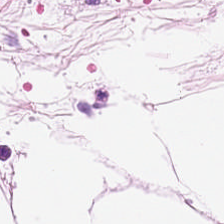Stain: H&E.
Resolution: 0.5 µm/px.
Tissue: fat tissue.
